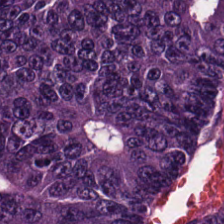H&E stain.
Histology — tumor epithelium.
